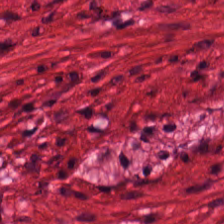Hematoxylin and eosin; FFPE tissue section.
Histology → smooth-muscle tissue.
